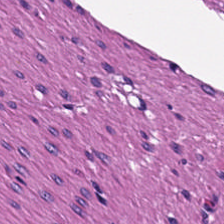H&E stain. Q: What is shown in this field?
A: Smooth-muscle tissue.
